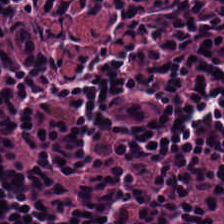Hematoxylin-and-eosin stained section. FFPE.
Q: What is the predominant tissue type?
A: The field shows lymphoid infiltrate.
